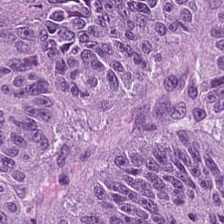H&E — Q: What tissue is shown?
A: The field shows colorectal adenocarcinoma epithelium.
